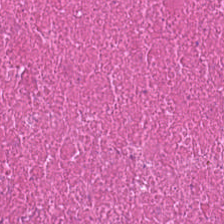Tissue class — debris.
